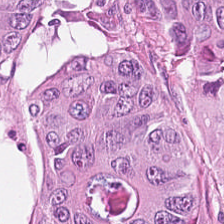Q: Classify this patch.
A: The field shows malignant epithelium.
